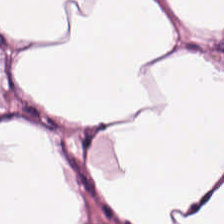Stain: hematoxylin-and-eosin stained section.
Acquisition: brightfield.
Preparation: formalin-fixed paraffin-embedded section.
Classification: adipose tissue.
